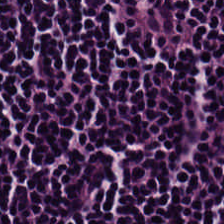H&E stain. 224×224 px patch. Whole-slide-image patch.
Finding — lymphocyte aggregate.
